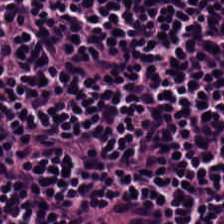H&E; 224×224 pixel tile — Showing lymphocytes.
